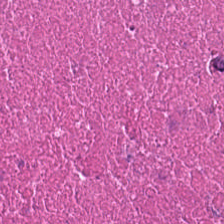Hematoxylin and eosin. FFPE.
This patch shows debris.
